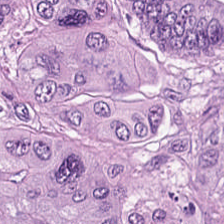This patch shows adenocarcinoma.
